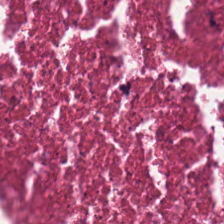H&E stain. FFPE tissue section.
The predominant tissue is necrotic debris.
